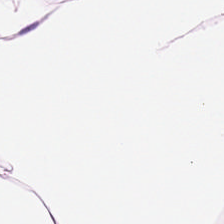The tissue class is adipocytes.
